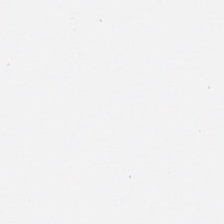Hematoxylin-and-eosin stained section · 224×224 px patch.
Content: empty background.
